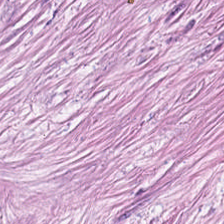Brightfield · H&E. Tumor stroma.
